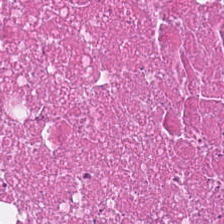Showing necrotic debris.
